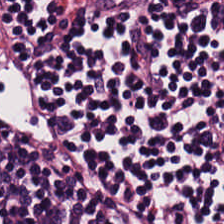Hematoxylin-and-eosin stained section; brightfield microscopy — Finding — lymphocytes.
